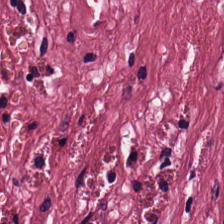Impression → tumor stroma.
